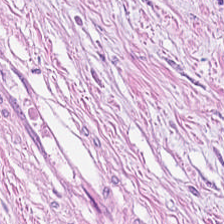Hematoxylin and eosin. Brightfield microscopy — Tumor stroma.
